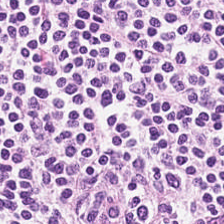The tissue is lymphocyte aggregate.
